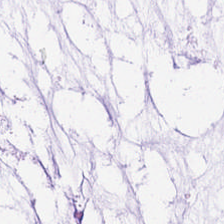H&E — Predominantly extracellular mucin.
